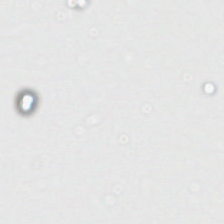224×224 pixel tile · FFPE tissue section · H&E-stained tissue section — Q: What is shown here?
A: The field shows empty background.
